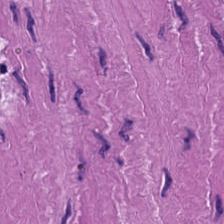Formalin-fixed paraffin-embedded section; H&E; 224×224 pixel tile. Impression → smooth-muscle tissue.
